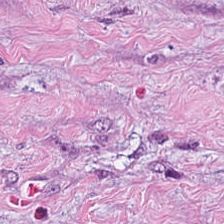H&E-stained tissue section.
Q: What tissue type is shown here?
A: It is tumor-associated stroma.
